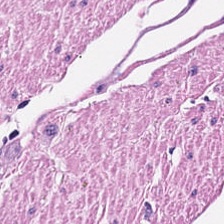H&E. Tissue class — smooth-muscle tissue.
